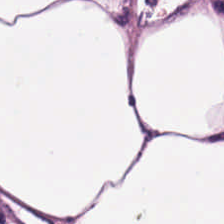Tissue class — adipose.
